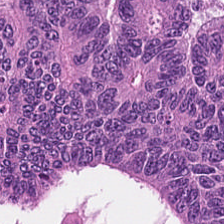Brightfield; H&E-stained tissue section; 224×224 pixel tile. Showing colorectal adenocarcinoma.
